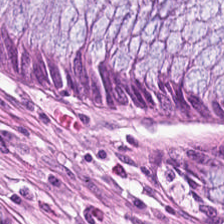Hematoxylin and eosin.
{"tissue_type": "normal colonic mucosa"}
